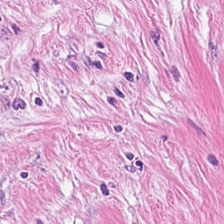Hematoxylin and eosin. This patch shows tumor stroma.
